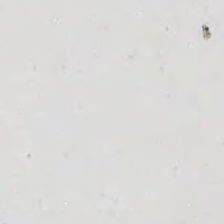H&E-stained tissue section — Empty field — background (no tissue).
